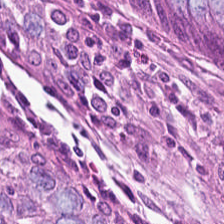224×224 pixel tile; hematoxylin-and-eosin stained section; whole-slide-image patch. The tissue here is normal colonic mucosa.
